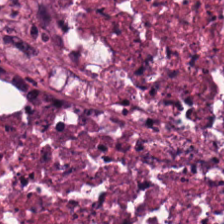Stain: hematoxylin-and-eosin stained section.
Tissue: debris.
